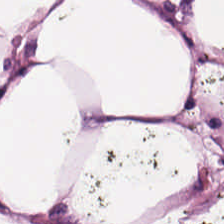Tissue class: adipocytes.
